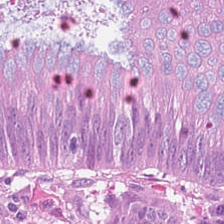Hematoxylin and eosin. Finding → colorectal adenocarcinoma.
